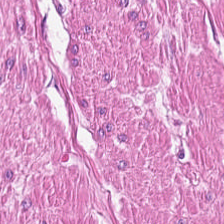H&E. The tissue type is smooth muscle.
